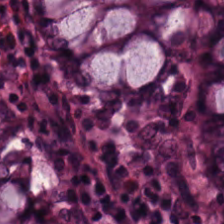H&E — benign colonic mucosa.
